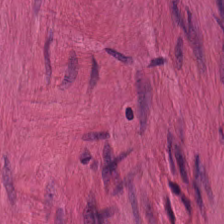Hematoxylin and eosin · FFPE · brightfield microscopy — Q: What tissue is shown?
A: The field shows smooth muscle.
